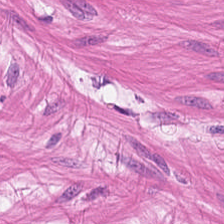H&E.
{"tissue_type": "muscularis"}
